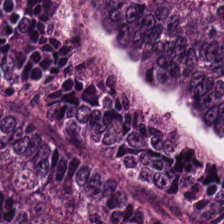Brightfield microscopy · H&E. Q: What is the predominant tissue type?
A: It is malignant epithelium.
